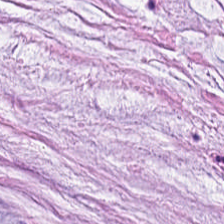Stain: hematoxylin and eosin.
Tissue class: extracellular mucin.
